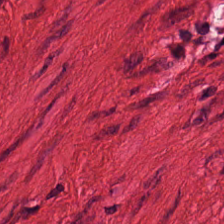H&E stain. Histology → smooth-muscle tissue.
